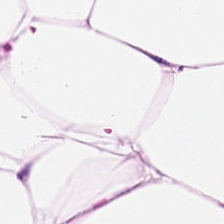Hematoxylin-and-eosin stained section — Predominant tissue: fat tissue.
